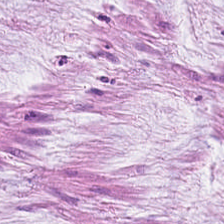H&E — This field is mucin.
